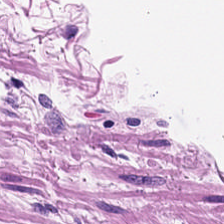WSI patch · H&E-stained tissue section · FFPE tissue section — Histology — smooth-muscle tissue.
